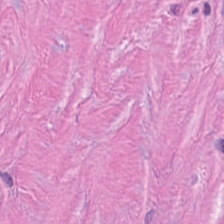H&E; 224×224 pixel tile — Impression — desmoplastic stroma.
